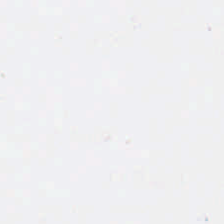H&E-stained tissue section; brightfield microscopy. Q: What is shown here?
A: Empty background.
